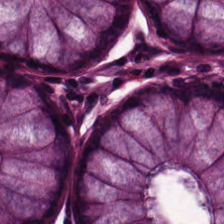Hematoxylin and eosin.
Tissue class = normal colon mucosa.
